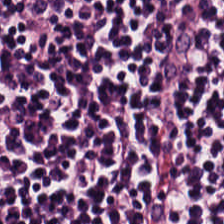H&E patch showing lymphocyte aggregate.
